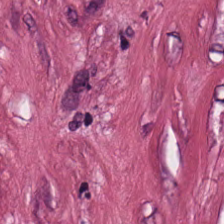Brightfield microscopy · H&E. Impression — tumor-associated stroma.
